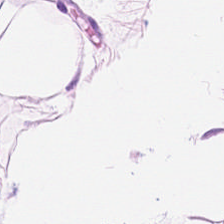H&E-stained tissue section.
{"tissue_type": "adipose tissue"}
